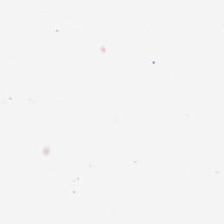WSI patch · 224×224 px patch · H&E.
Impression → background (no tissue).
